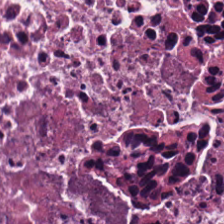Q: What is shown in this field?
A: The field shows debris.
